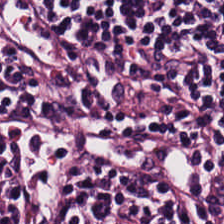H&E.
This patch shows lymphocyte aggregate.
